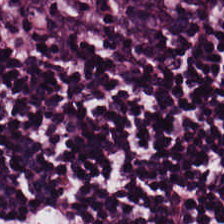224×224 px tile; H&E stain; formalin-fixed paraffin-embedded section — Tissue class: lymphoid infiltrate.
